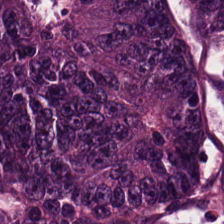H&E-stained tissue section — Showing colorectal adenocarcinoma epithelium.
